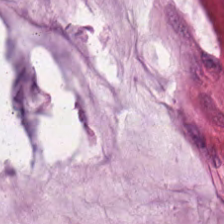224×224 px patch. H&E. This field is mucus.
